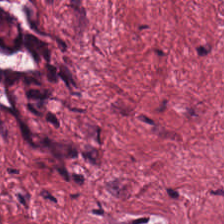H&E — Showing desmoplastic stroma.
